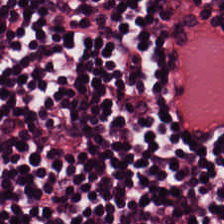Stain: H&E stain.
Predominant tissue: lymphocyte aggregate.
